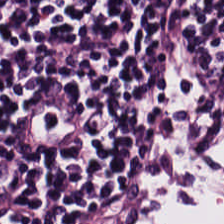Hematoxylin and eosin. Classification = lymphocytes.
